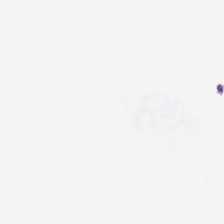Hematoxylin and eosin; formalin-fixed paraffin-embedded section; 224×224 pixel tile.
Empty field — no tissue.
